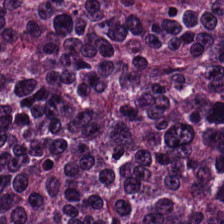{"tissue_type": "adenocarcinoma"}
